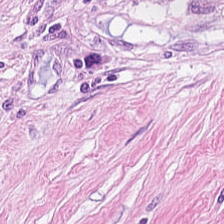224×224 px patch · hematoxylin-and-eosin stained section.
Q: What tissue type is shown here?
A: Cancer-associated stroma.
